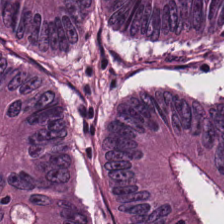Hematoxylin-and-eosin stained section · 224×224 pixel tile · 0.5 microns per pixel — Tissue class: colorectal adenocarcinoma.
